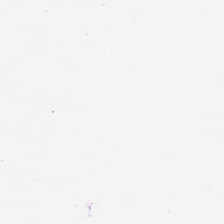H&E-stained tissue section.
Empty field — background (no tissue).
